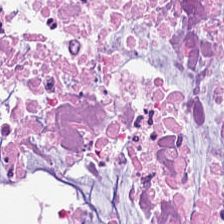Q: What is shown here?
A: This is cellular debris.
